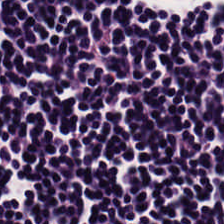H&E stain.
The tissue class is lymphocytes.
